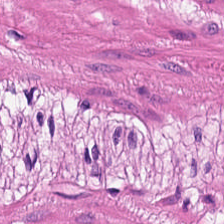Hematoxylin-and-eosin stained section; whole-slide-image patch — Showing smooth muscle.
